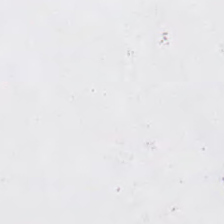224×224 px tile; H&E stain; FFPE. Finding → no tissue.
